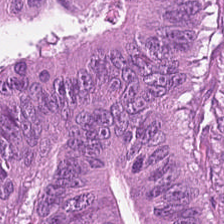0.5 µm per pixel; H&E-stained tissue section; WSI patch.
Q: What tissue is shown?
A: Malignant epithelium.
